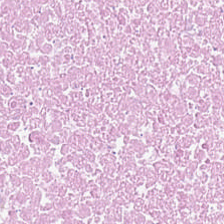H&E-stained section; the field shows debris.
